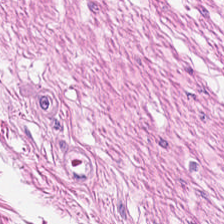Hematoxylin and eosin · brightfield microscopy — Showing smooth-muscle tissue.
